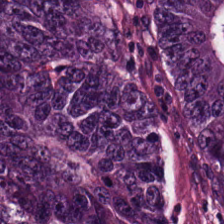H&E stain — {"tissue_type": "adenocarcinoma"}
